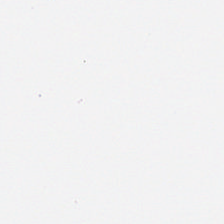Hematoxylin and eosin. Finding → background.
